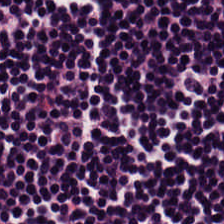H&E-stained tissue section — Impression → lymphocytic infiltrate.
